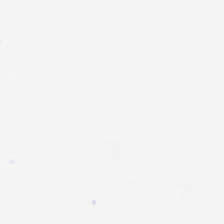224×224 px tile. 0.5 microns per pixel. H&E-stained tissue section. Field content — no tissue.
